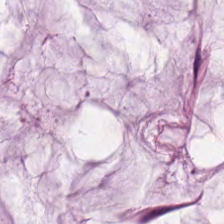Tissue class — mucin.
